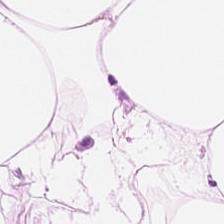H&E-stained tissue section. FFPE. The predominant tissue is adipose.
